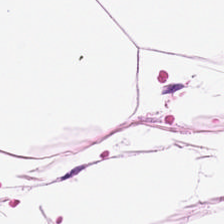Stain: hematoxylin and eosin.
Acquisition: WSI patch.
Tissue type: adipose tissue.
